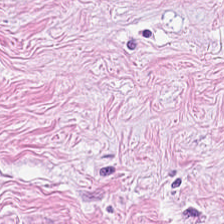20× equivalent magnification; FFPE tissue section; hematoxylin-and-eosin stained section. The predominant tissue is cancer-associated stroma.
